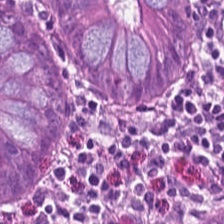H&E stain — Q: What tissue type is shown here?
A: The field shows non-neoplastic colon mucosa.
